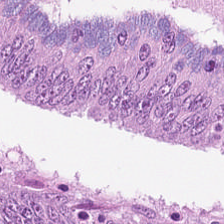FFPE tissue section; H&E-stained tissue section. Q: What is the predominant tissue type?
A: This is malignant epithelium.
